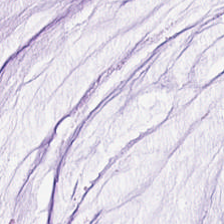Mucin.
